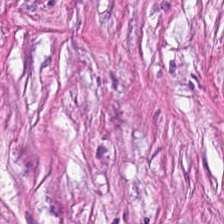Classification = desmoplastic stroma.
